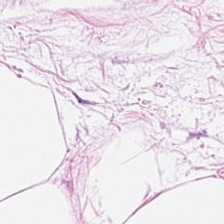H&E-stained tissue section.
Predominant tissue = fat tissue.
